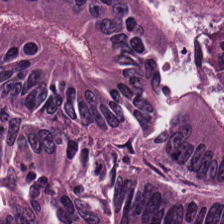FFPE tissue section · WSI patch · hematoxylin-and-eosin stained section. {"tissue_type": "tumor epithelium"}
